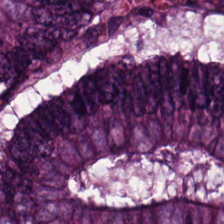Stain: hematoxylin-and-eosin stained section.
Classification: colorectal adenocarcinoma epithelium.
